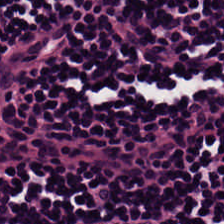Hematoxylin-and-eosin stained section. Brightfield microscopy.
Q: What is the predominant tissue type?
A: The field shows lymphocyte aggregate.
